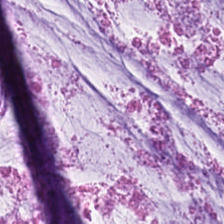H&E-stained tissue section — Q: What is shown here?
A: This is extracellular mucin.
